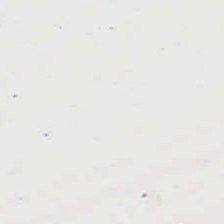Q: What does this patch show?
A: This is empty background.
